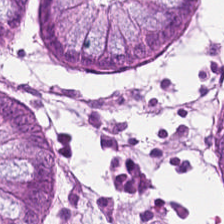H&E-stained tissue section · FFPE · whole-slide-image patch — This field is normal colonic mucosa.
